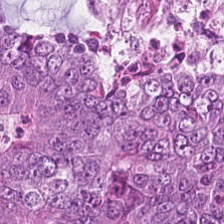H&E-stained tissue section · 224×224 px patch · 20× equivalent magnification. Tissue type — adenocarcinoma.
